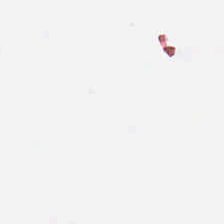H&E stain · whole-slide-image patch — No tissue present; background only.
